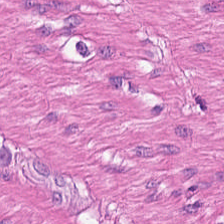0.5 µm per pixel. 224×224 px tile. H&E stain — Tissue: muscularis.
